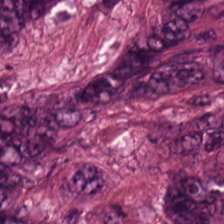H&E stain — {"tissue_type": "extracellular mucin"}
